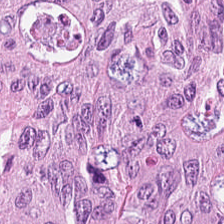Stain: hematoxylin-and-eosin stained section.
Predominant tissue: colorectal adenocarcinoma epithelium.
